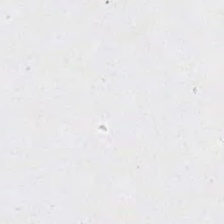Stain: H&E-stained tissue section.
Content: background (no tissue).
